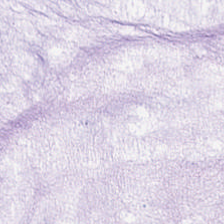The tissue here is mucus.
